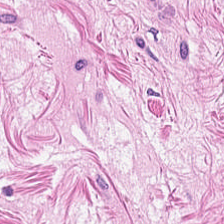Hematoxylin and eosin; 224×224 px patch; FFPE tissue section — This field is smooth-muscle tissue.
